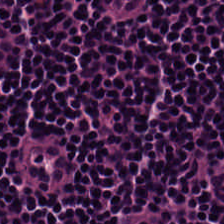224×224 px tile · hematoxylin-and-eosin stained section — Q: What is shown in this field?
A: This is lymphoid infiltrate.
